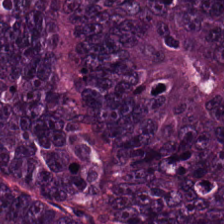0.5 microns per pixel. Hematoxylin-and-eosin stained section.
Tissue: adenocarcinoma.
